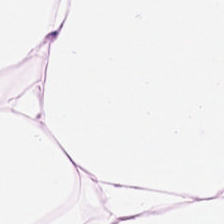H&E-stained tissue section · formalin-fixed paraffin-embedded section — Tissue: adipose tissue.
